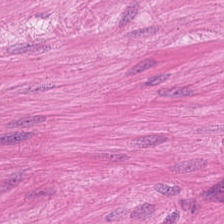224×224 px patch · formalin-fixed paraffin-embedded section · hematoxylin and eosin.
The tissue here is muscularis.
